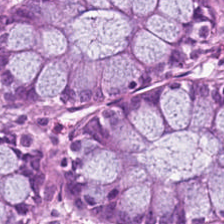20× equivalent magnification; H&E — {"tissue_type": "normal colonic mucosa"}
